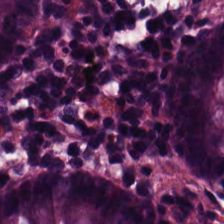FFPE tissue section. H&E. 20× equivalent magnification — Tissue type: non-neoplastic colon mucosa.
